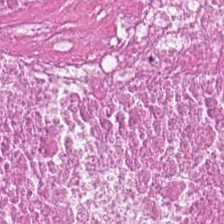FFPE. H&E-stained tissue section. 20× equivalent magnification.
This patch shows debris.
